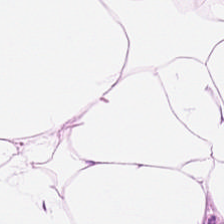Hematoxylin-and-eosin stained section; 0.5 µm/px. Q: What tissue is shown?
A: This is adipose tissue.
